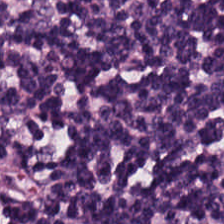H&E — Lymphocyte aggregate.
